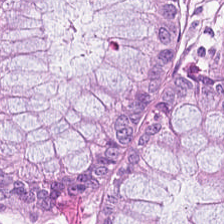H&E-stained tissue section · formalin-fixed paraffin-embedded section · whole-slide-image patch.
Showing normal colonic mucosa.
